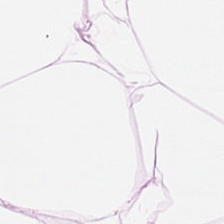Hematoxylin-and-eosin stained section · 20× equivalent magnification · brightfield.
Showing adipocytes.
